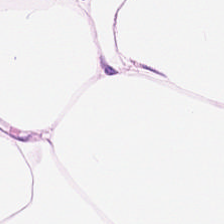Stain: hematoxylin-and-eosin stained section.
Tissue type: fat tissue.
